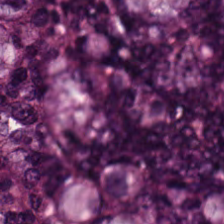Hematoxylin and eosin — Predominant tissue — malignant epithelium.
